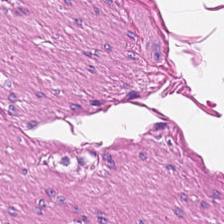The tissue type is smooth muscle.
